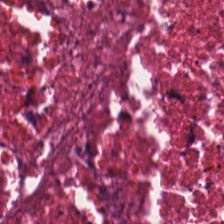H&E-stained tissue section. Whole-slide-image patch. Q: Identify the tissue.
A: This is debris.
